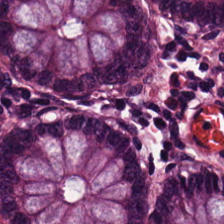Hematoxylin-and-eosin stained section; brightfield microscopy — The predominant tissue is normal colonic mucosa.
